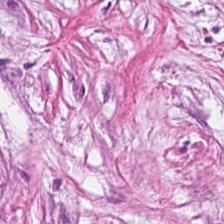H&E-stained tissue section.
Predominant tissue — desmoplastic stroma.
